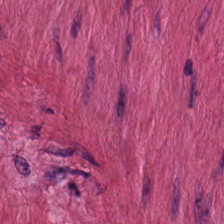Hematoxylin-and-eosin section: smooth-muscle tissue.
